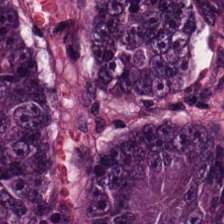Stain: H&E stain.
Resolution: 0.5 µm per pixel.
Classification: colorectal adenocarcinoma.
